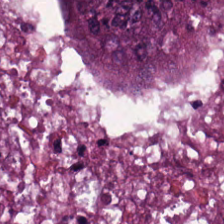Hematoxylin-and-eosin stained section. 0.5 µm/px.
Showing adenocarcinoma.
